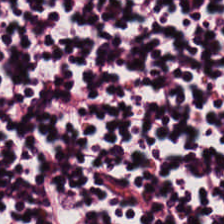224×224 pixel tile · H&E stain. Tissue type — lymphocytic infiltrate.
